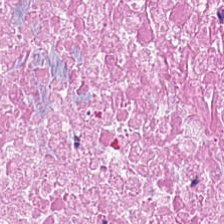0.5 µm per pixel; whole-slide-image patch; H&E-stained tissue section. Tissue class — debris.
